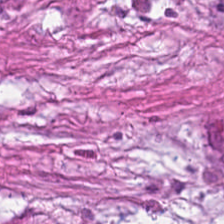224×224 px tile. H&E-stained tissue section — Q: What is shown here?
A: It is cancer-associated stroma.
